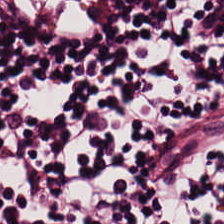H&E — Predominant tissue — lymphoid infiltrate.
